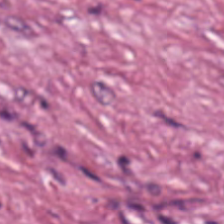H&E-stained section; the field shows tumor-associated stroma.
